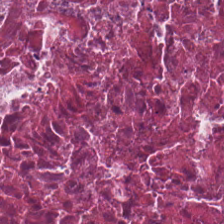H&E stain · 0.5 µm/px — Q: What tissue type is shown here?
A: The field shows necrotic debris.
